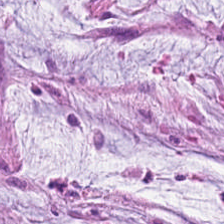H&E — This patch shows mucin.
